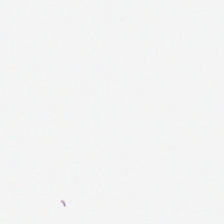Stain: H&E stain.
Field content: background (no tissue).
